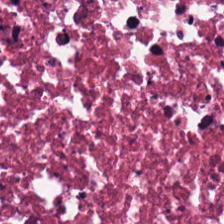H&E. This patch shows cellular debris.
